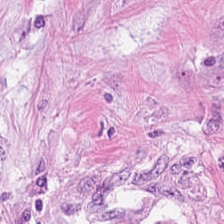FFPE · hematoxylin and eosin · 0.5 µm/px. Q: What type of tissue is this?
A: This is cancer-associated stroma.
